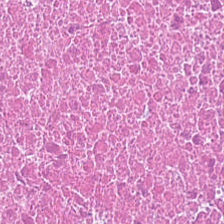Finding — debris.
